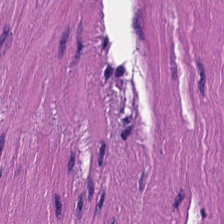Hematoxylin-and-eosin stained section. 0.5 µm per pixel. The tissue class is muscularis.
